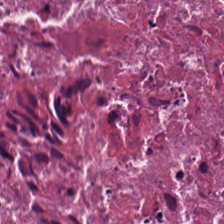Hematoxylin-and-eosin stained section.
Impression → necrotic debris.
